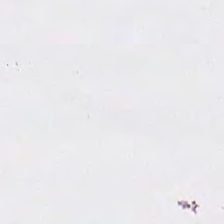Hematoxylin-and-eosin stained section; FFPE tissue section; 224×224 px patch.
{"content": "background (no tissue)"}
